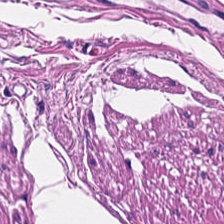H&E; FFPE tissue section.
This field is smooth-muscle tissue.
